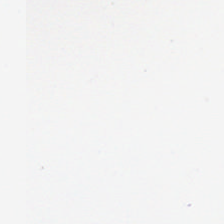Stain: H&E stain.
Resolution: 0.5 µm/px.
Classification: empty background.
